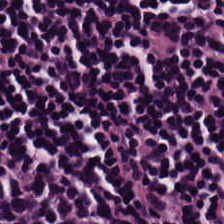Finding — lymphoid infiltrate.
